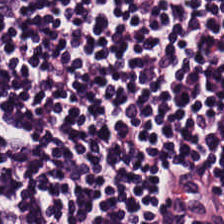H&E-stained tissue section. This patch shows lymphocytes.
